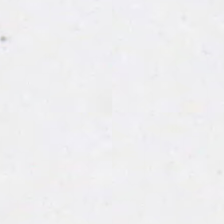20× equivalent magnification · H&E-stained tissue section — Q: What does this patch show?
A: It is background (no tissue).
